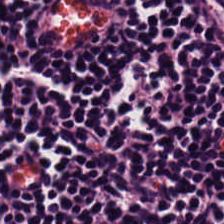Hematoxylin and eosin.
Impression — lymphocytic infiltrate.
